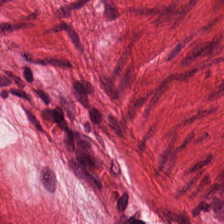H&E-stained tissue section. Q: What type of tissue is this?
A: Smooth muscle.
